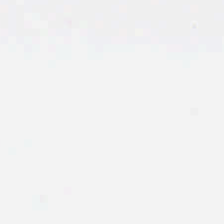Background — no tissue in this field.
